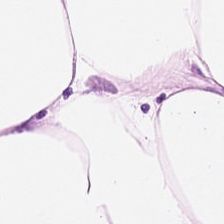H&E-stained tissue section.
Showing adipose tissue.
